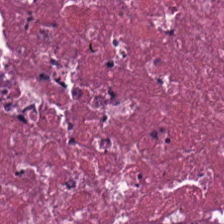224×224 px tile. H&E stain — Finding — necrotic debris.
